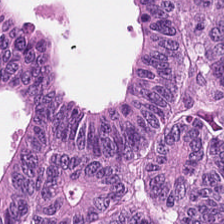H&E-stained tissue section. Whole-slide-image patch.
Q: What does this patch show?
A: This is adenocarcinoma.
